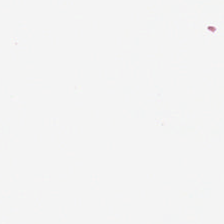This patch shows background (no tissue).
